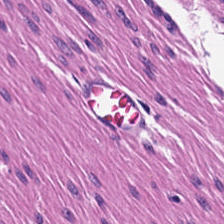H&E stain. Finding — muscularis.
